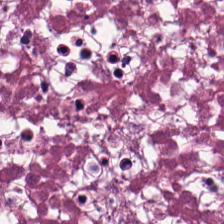Q: Classify this patch.
A: It is necrotic debris.
